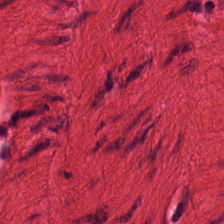WSI patch; hematoxylin-and-eosin stained section — Predominantly muscularis.
